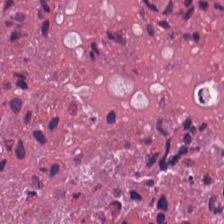Stain: H&E.
Classification: necrotic debris.
